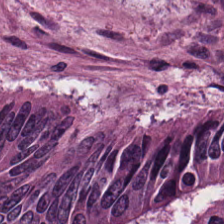224×224 px tile · FFPE tissue section · H&E.
This field is colorectal adenocarcinoma.
